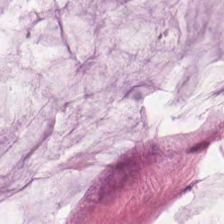Predominant tissue — mucus.
